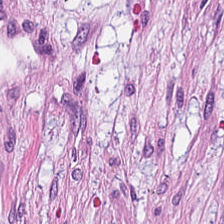0.5 µm per pixel. H&E stain — Q: What is the predominant tissue type?
A: Desmoplastic stroma.
